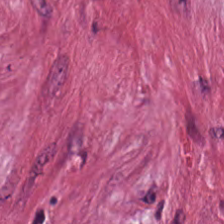The predominant tissue is tumor-associated stroma.
